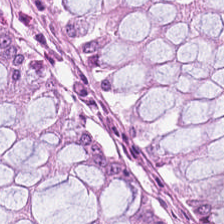H&E stain.
Predominant tissue — normal colon mucosa.
